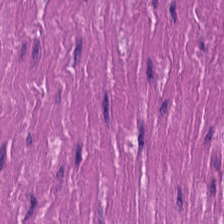Stain: H&E-stained tissue section.
Resolution: 0.5 µm per pixel.
Tile size: 224×224 pixel tile.
Predominant tissue: smooth muscle.
